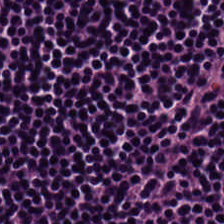Hematoxylin and eosin · whole-slide-image patch.
Q: Identify the tissue.
A: The field shows lymphocyte aggregate.
